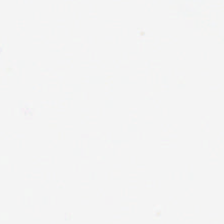FFPE · hematoxylin and eosin.
Q: Classify this patch.
A: The field shows no tissue.
